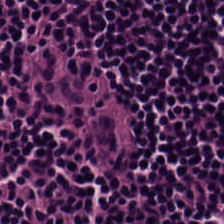H&E — Q: What tissue is shown?
A: This is lymphoid infiltrate.
